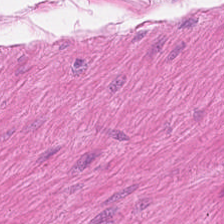Hematoxylin-and-eosin stained section; 224×224 pixel tile — Tissue class = muscularis.
